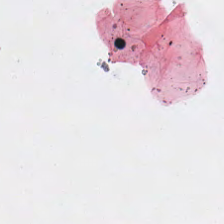H&E stain — Q: What does this patch show?
A: The field shows empty background.
